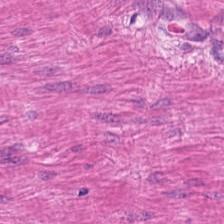Tissue: smooth muscle.
